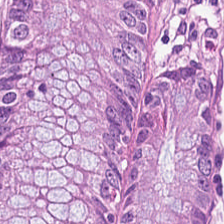Brightfield · H&E · FFPE tissue section. This patch shows benign colonic mucosa.
